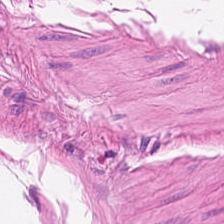Stain: hematoxylin-and-eosin stained section.
Classification: smooth-muscle tissue.
